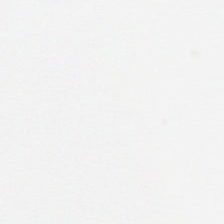Hematoxylin-and-eosin stained section; whole-slide-image patch.
The classification is background.
